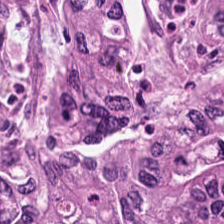H&E.
Showing malignant epithelium.
